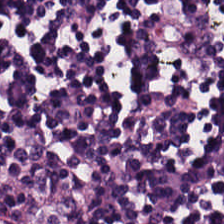Q: What does this patch show?
A: This is lymphoid infiltrate.
